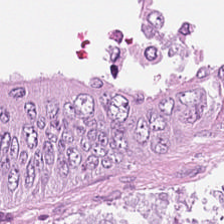Hematoxylin-and-eosin stained section. Showing colorectal adenocarcinoma.
